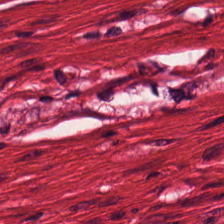Hematoxylin and eosin — Tissue type = smooth-muscle tissue.
